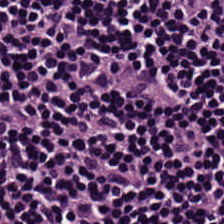This field is lymphocyte aggregate.
